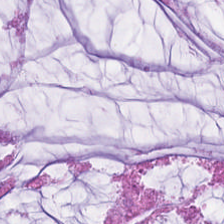Predominantly mucus.
